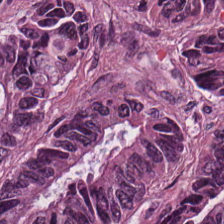Predominantly colorectal adenocarcinoma epithelium.
